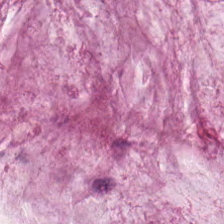Stain: H&E.
Tissue: mucin.
